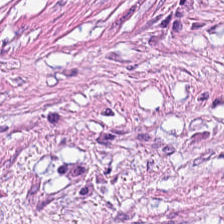Hematoxylin-and-eosin stained section. Whole-slide-image patch. 224×224 px tile.
The tissue here is tumor-associated stroma.
